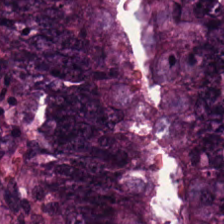Stain: H&E stain.
Tissue type: colorectal adenocarcinoma epithelium.
